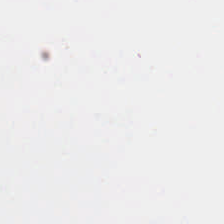H&E-stained tissue section. 0.5 µm per pixel. Background — no tissue in this field.
